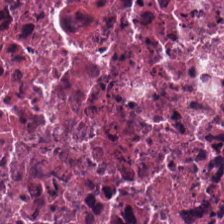Stain: H&E.
Tissue type: necrotic debris.
